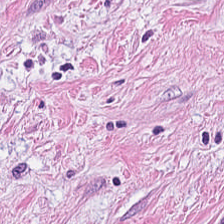Stain: H&E-stained tissue section.
Classification: cancer-associated stroma.
